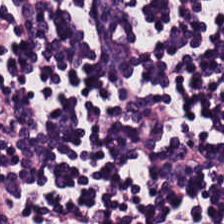Brightfield microscopy. H&E. 0.5 µm/px. Predominant tissue: lymphoid infiltrate.
